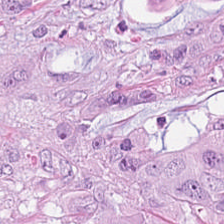Brightfield. FFPE. Hematoxylin and eosin — Impression → colorectal adenocarcinoma epithelium.
